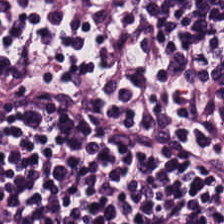H&E-stained tissue section; formalin-fixed paraffin-embedded section; whole-slide-image patch — Showing lymphoid infiltrate.
